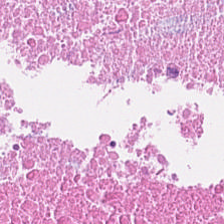Tissue type — cellular debris.
